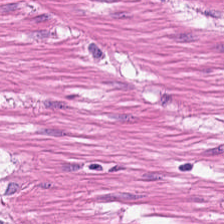H&E patch showing smooth muscle.
